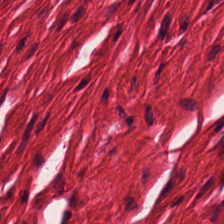Hematoxylin-and-eosin stained section — {"tissue_type": "smooth muscle"}
